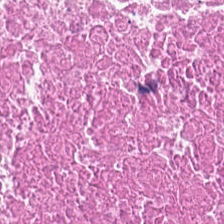H&E-stained tissue section — Showing necrotic debris.
